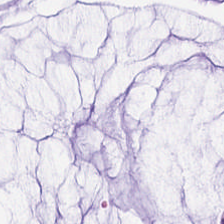H&E-stained tissue section.
Impression — mucin.
